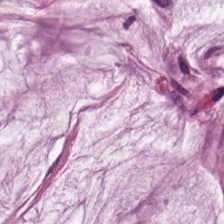H&E-stained tissue section — Histology — extracellular mucin.
